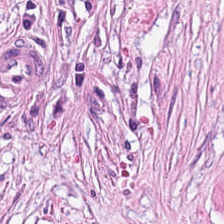Tissue type: desmoplastic stroma.
